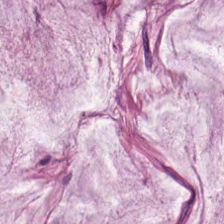H&E-stained tissue section; whole-slide-image patch.
Q: What does this patch show?
A: It is mucus.
